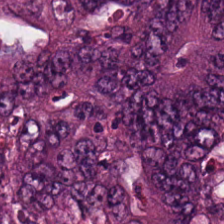0.5 microns per pixel · FFPE tissue section · hematoxylin-and-eosin stained section. Impression — malignant epithelium.
